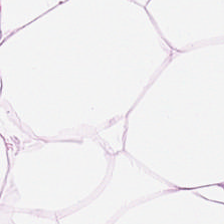Adipose tissue.
